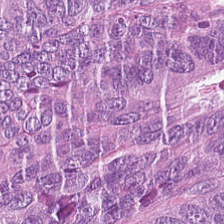H&E-stained tissue section; 224×224 pixel tile. The tissue type is adenocarcinoma.
